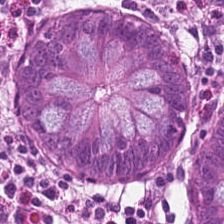H&E-stained tissue section · WSI patch — Histology — benign colonic mucosa.
